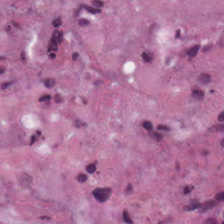H&E stain; 0.5 µm/px — Q: Classify this patch.
A: The field shows debris.
